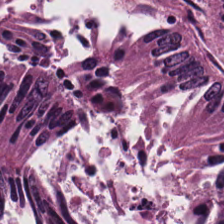Hematoxylin and eosin. 20× equivalent magnification — Tissue: colorectal adenocarcinoma.
